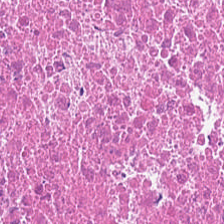H&E-stained tissue section — Predominantly cellular debris.
